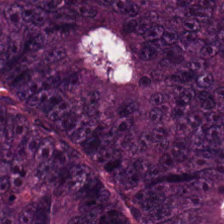H&E. 20× equivalent magnification — Q: Identify the tissue.
A: Tumor epithelium.
